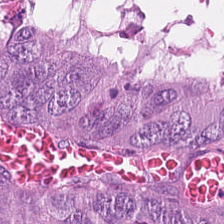Hematoxylin and eosin. The tissue here is colorectal adenocarcinoma.
